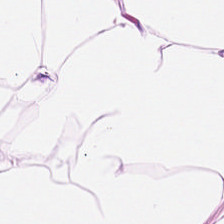H&E-stained tissue section. This field is adipocytes.
